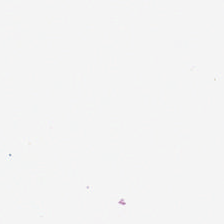Hematoxylin-and-eosin stained section; 224×224 px tile; FFPE.
Field content = background (no tissue).
